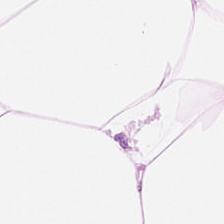FFPE tissue section; hematoxylin-and-eosin stained section. Q: What tissue is shown?
A: The field shows adipocytes.
